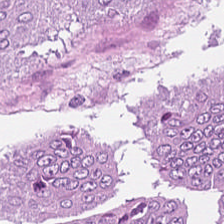FFPE tissue section; H&E stain; WSI patch.
{"tissue_type": "colorectal adenocarcinoma"}
